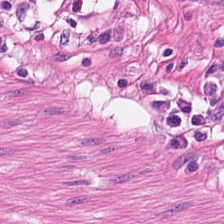H&E — smooth-muscle tissue.
